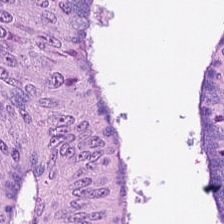H&E-stained tissue section; 224×224 px tile; brightfield — This patch shows tumor epithelium.
